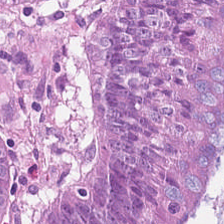0.5 µm/px; 224×224 px tile; H&E stain.
Impression → colorectal adenocarcinoma.
